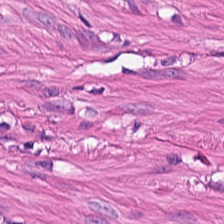Hematoxylin and eosin — Tissue type = muscularis.
